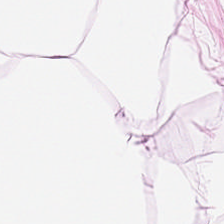H&E-stained tissue section · FFPE.
Histology — adipose tissue.
